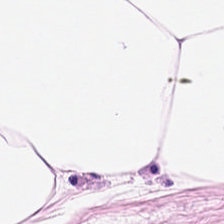H&E-stained tissue section.
This field is adipose.
